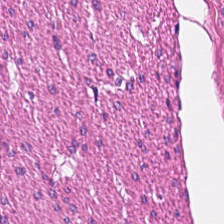Hematoxylin-and-eosin stained section. Brightfield microscopy. 224×224 px patch — Showing smooth-muscle tissue.
